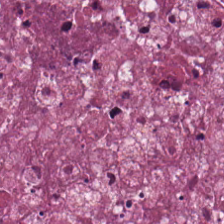Brightfield. Hematoxylin-and-eosin stained section. Showing cellular debris.
